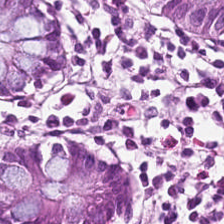Hematoxylin-and-eosin stained section. WSI patch.
Predominantly benign colonic mucosa.
